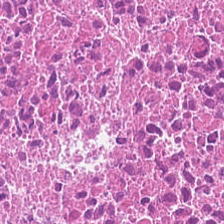Debris.
